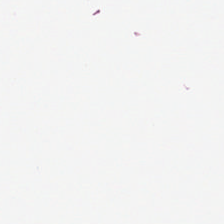Hematoxylin-and-eosin stained section · WSI patch · formalin-fixed paraffin-embedded section.
Field content — background.
